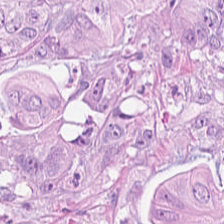Hematoxylin and eosin — Finding — colorectal adenocarcinoma.
